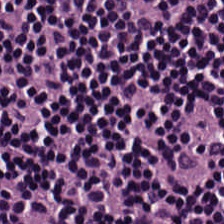Histology → lymphocytes.
